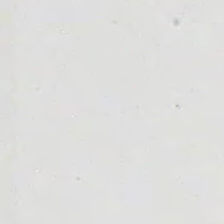Stain: H&E stain.
Classification: background.
